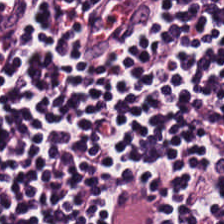Tissue class = lymphocyte aggregate.
